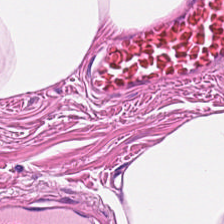Hematoxylin-and-eosin stained section · 0.5 microns per pixel · formalin-fixed paraffin-embedded section.
Predominant tissue = smooth muscle.
